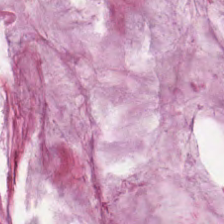Tissue — mucus.
